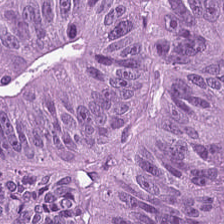Hematoxylin and eosin. 224×224 pixel tile.
Tissue type: tumor epithelium.
